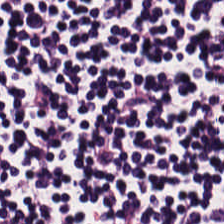H&E stain.
Tissue class — lymphocytes.
